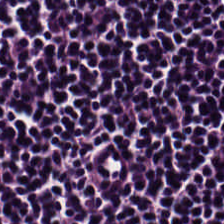Histology → lymphoid infiltrate.
